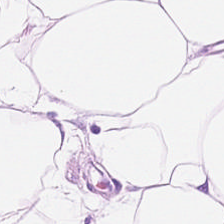Tissue = adipose.
